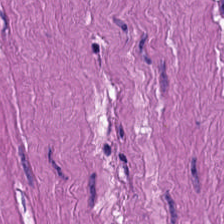Stain: H&E.
Tile size: 224×224 px patch.
Preparation: FFPE.
Classification: smooth-muscle tissue.
